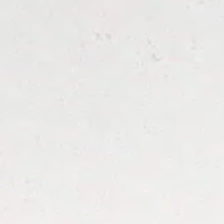Content — background.
